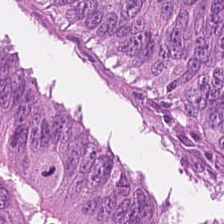Q: Identify the tissue.
A: This is adenocarcinoma.
